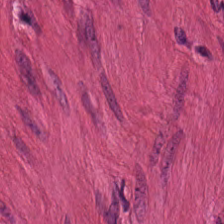H&E; brightfield microscopy. The predominant tissue is smooth muscle.
